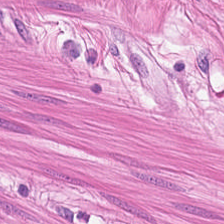H&E-stained section; the field shows smooth muscle.
